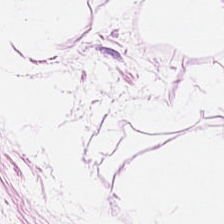Hematoxylin-and-eosin stained section.
{"tissue_type": "adipocytes"}
